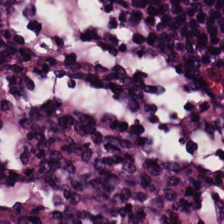Stain: H&E-stained tissue section.
Preparation: FFPE.
Predominant tissue: lymphoid infiltrate.
